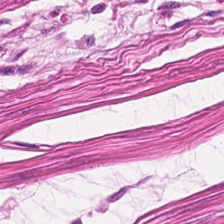H&E stain — Predominantly smooth-muscle tissue.
